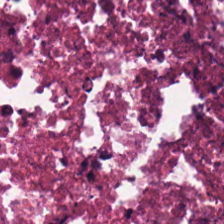Stain: H&E.
Resolution: 0.5 µm/px.
Tissue type: debris.
